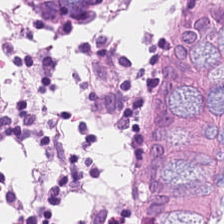Tissue class — non-neoplastic colon mucosa.
